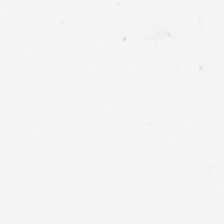224×224 px tile; H&E.
Background — no tissue in this field.
